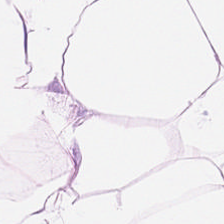Hematoxylin and eosin. Impression — adipose.
